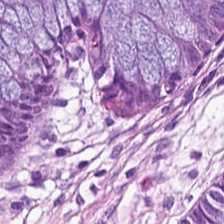Hematoxylin-and-eosin stained section · whole-slide-image patch.
Predominantly non-neoplastic colon mucosa.
